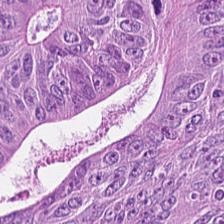H&E-stained section; the field shows colorectal adenocarcinoma.
